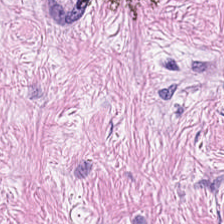H&E; formalin-fixed paraffin-embedded section — Desmoplastic stroma.
